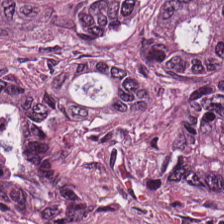H&E.
Tissue class = colorectal adenocarcinoma epithelium.
